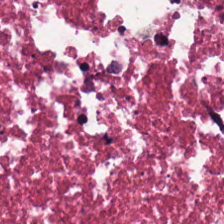H&E-stained section; the field shows necrotic debris.
